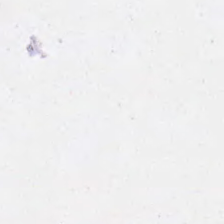Stain: hematoxylin-and-eosin stained section.
Tile size: 224×224 px patch.
Content: background.
